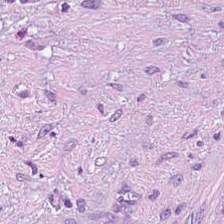H&E stain; brightfield microscopy. Showing tumor stroma.
